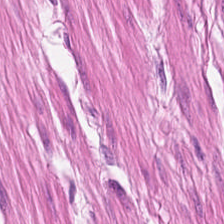Tissue = smooth muscle.
